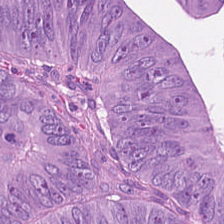Hematoxylin and eosin.
The tissue type is malignant epithelium.
